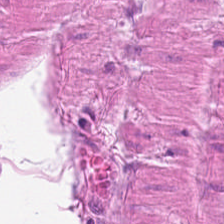H&E stain — Tissue — smooth muscle.
